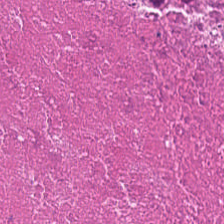Stain: H&E-stained tissue section.
Predominant tissue: debris.
